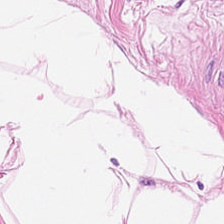Predominantly adipocytes.
